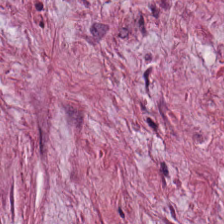Classification — desmoplastic stroma.
